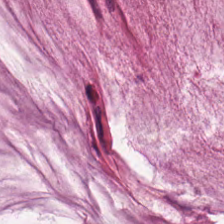H&E-stained tissue section showing extracellular mucin.
